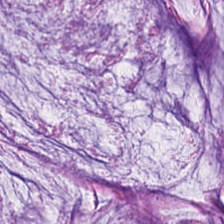Histology → mucin.
